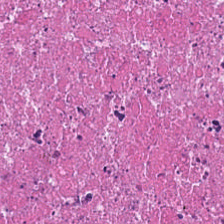H&E-stained tissue section · 224×224 px tile. Classification = debris.
